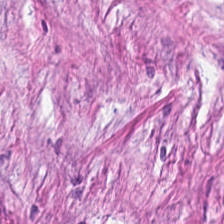0.5 µm per pixel. Hematoxylin-and-eosin stained section. 224×224 pixel tile.
{"tissue_type": "tumor stroma"}
